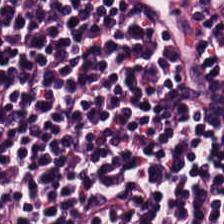This field is lymphocytic infiltrate.
